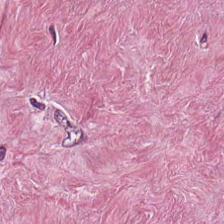Hematoxylin and eosin; 0.5 µm/px.
The tissue class is desmoplastic stroma.
